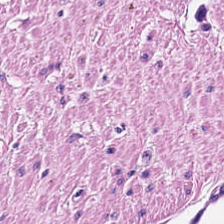Tissue class: muscularis.
